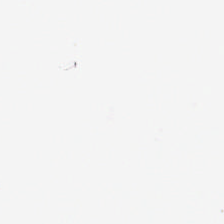Background — no tissue in this field.
